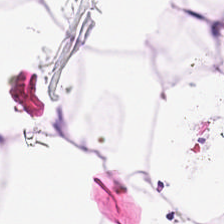Hematoxylin and eosin.
The tissue is adipose.
